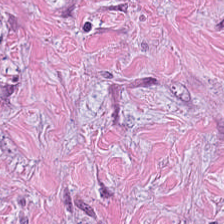Stain: hematoxylin and eosin.
Preparation: FFPE.
Acquisition: brightfield microscopy.
Classification: tumor stroma.
